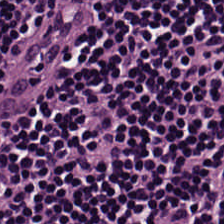H&E-stained tissue section; FFPE.
Finding — lymphocytic infiltrate.
